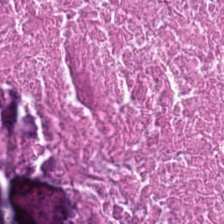H&E — Showing necrotic debris.
